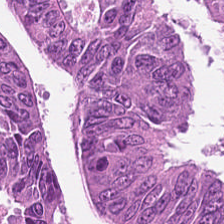H&E stain. This field is colorectal adenocarcinoma epithelium.
